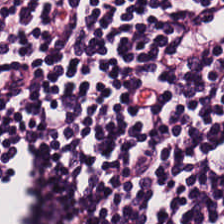Hematoxylin-and-eosin stained section.
The tissue is lymphocytes.
